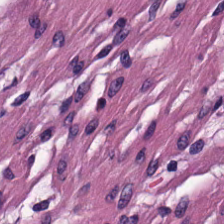224×224 px patch; H&E-stained tissue section.
Finding — muscularis.
